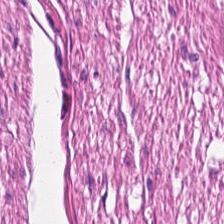H&E stain. Brightfield microscopy. 0.5 µm/px — Q: What is the predominant tissue type?
A: It is smooth-muscle tissue.
